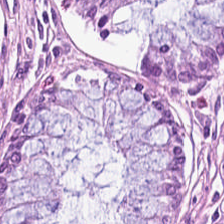H&E-stained tissue section. Finding — normal colon mucosa.
